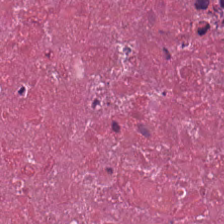224×224 px patch · 0.5 µm per pixel · H&E-stained tissue section.
Tissue: cellular debris.
